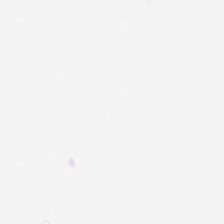H&E stain.
No tissue present; background only.
